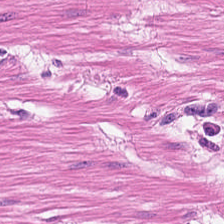H&E-stained tissue section — Q: What is shown in this field?
A: Smooth muscle.
